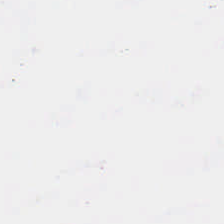H&E stain — {"content": "no tissue"}
